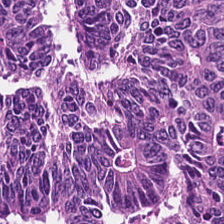Brightfield · hematoxylin-and-eosin stained section · 224×224 px patch — Finding — adenocarcinoma.
